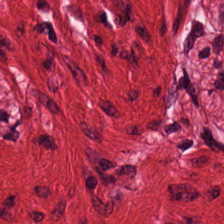H&E-stained section; the field shows smooth-muscle tissue.
